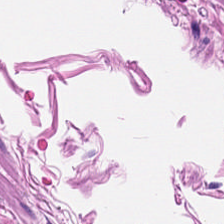Brightfield. H&E stain. Formalin-fixed paraffin-embedded section — Showing smooth muscle.
